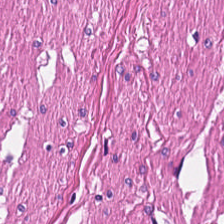Classification — smooth muscle.
